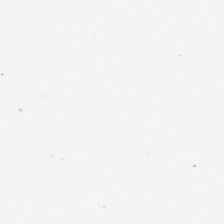H&E stain — {"content": "empty background"}
